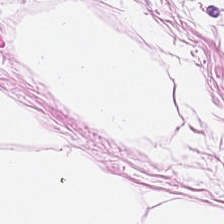Hematoxylin-and-eosin stained section.
Tissue = adipocytes.
